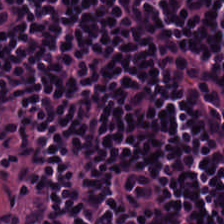H&E. Q: Identify the tissue.
A: Lymphocyte aggregate.
